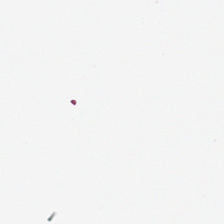Whole-slide-image patch. Hematoxylin-and-eosin stained section. Content — empty background.
